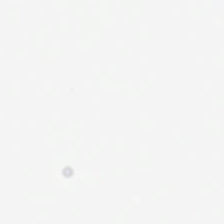Hematoxylin and eosin — Empty field — empty background.
